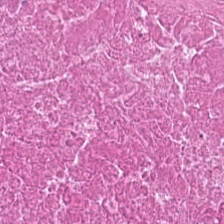Predominantly cellular debris.
